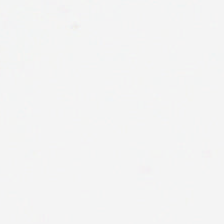H&E stain; FFPE tissue section; 0.5 µm per pixel — Background — no tissue in this field.
